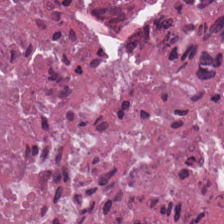Brightfield · formalin-fixed paraffin-embedded section · H&E-stained tissue section.
Impression → debris.
